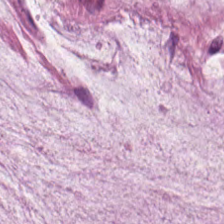Hematoxylin-and-eosin stained section.
The tissue class is extracellular mucin.
